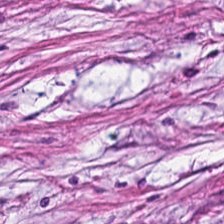This patch shows tumor-associated stroma.
